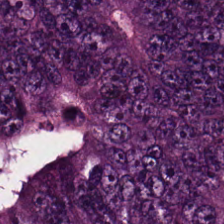224×224 px tile. Hematoxylin-and-eosin stained section.
The tissue is colorectal adenocarcinoma.
